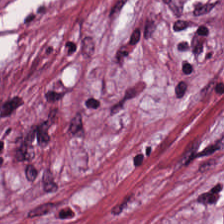Stain: H&E-stained tissue section.
Preparation: FFPE tissue section.
Predominant tissue: desmoplastic stroma.
